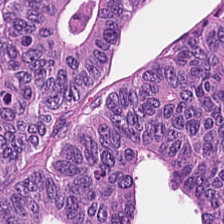H&E stain — This field is malignant epithelium.
